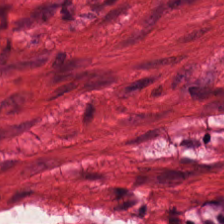H&E-stained tissue section. Q: What does this patch show?
A: This is muscularis.
